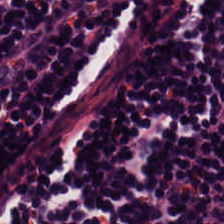Formalin-fixed paraffin-embedded section · 224×224 px patch · hematoxylin-and-eosin stained section. The tissue here is lymphoid infiltrate.
